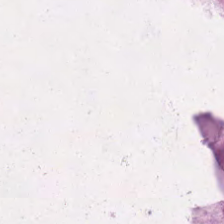H&E stain — Q: What tissue is shown?
A: This is extracellular mucin.
